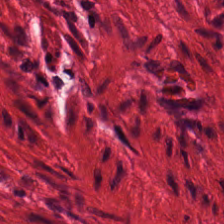Q: What is the predominant tissue type?
A: It is smooth muscle.
